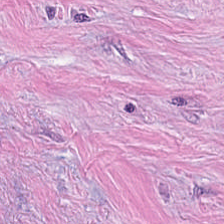The tissue class is cancer-associated stroma.
